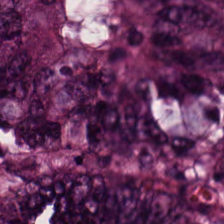Brightfield microscopy. Hematoxylin-and-eosin stained section. The tissue here is malignant epithelium.
